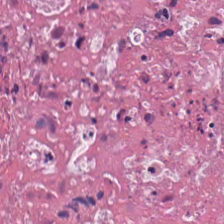Predominantly necrotic debris.
